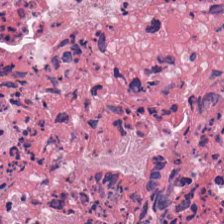Hematoxylin-and-eosin stained section.
Cellular debris.
